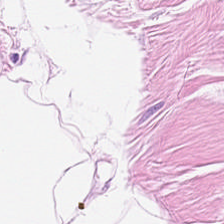H&E-stained section; the field shows adipose.
